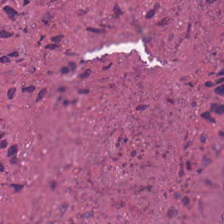224×224 pixel tile · hematoxylin-and-eosin stained section — Q: What is the predominant tissue type?
A: It is debris.
